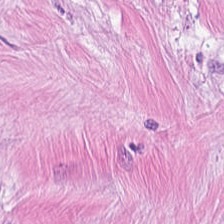Q: What is the predominant tissue type?
A: Desmoplastic stroma.
